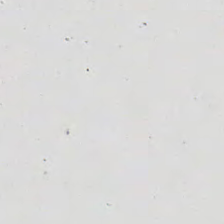Stain: H&E-stained tissue section.
Classification: background (no tissue).
